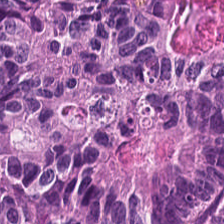0.5 microns per pixel · 224×224 pixel tile · H&E stain. The classification is malignant epithelium.
